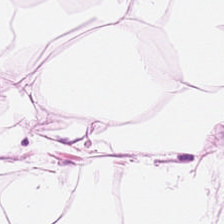Hematoxylin-and-eosin stained section. WSI patch.
Q: Classify this patch.
A: Fat tissue.
